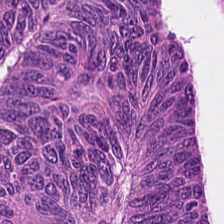Hematoxylin-and-eosin stained section · brightfield.
Q: What is shown here?
A: Colorectal adenocarcinoma.
